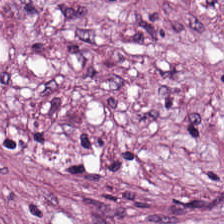Tissue class = desmoplastic stroma.
